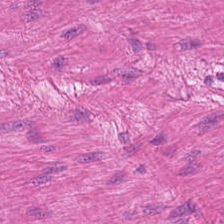224×224 px patch · H&E-stained tissue section. Q: Identify the tissue.
A: The field shows muscularis.
